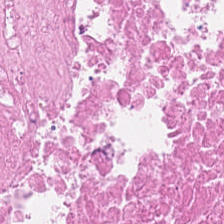Stain: H&E stain.
Classification: necrotic debris.
